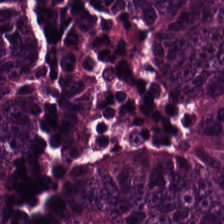H&E. Impression → malignant epithelium.
